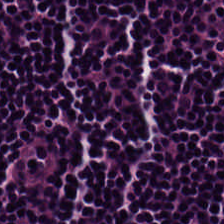H&E. 0.5 microns per pixel.
The predominant tissue is lymphoid infiltrate.
